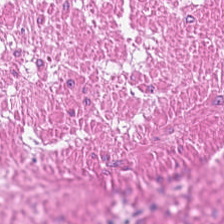H&E-stained tissue section — Q: Classify this patch.
A: The field shows smooth-muscle tissue.
